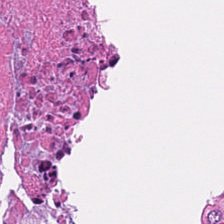This field is debris.
